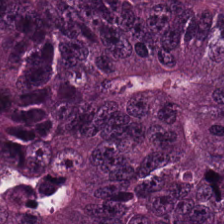Brightfield microscopy · H&E stain. Showing colorectal adenocarcinoma epithelium.
